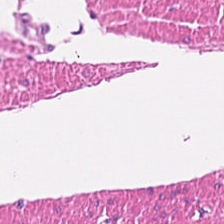H&E patch showing muscularis.
